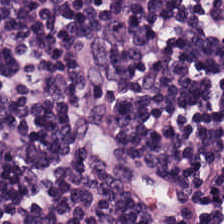The tissue is lymphocytes.
